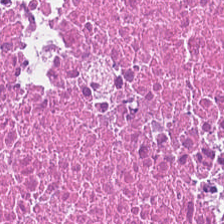H&E — Tissue type = cellular debris.
